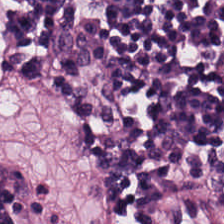0.5 microns per pixel. Hematoxylin-and-eosin stained section. 224×224 px patch — Tissue type: lymphocyte aggregate.
